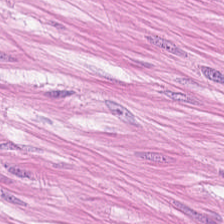Tissue class — smooth muscle.
